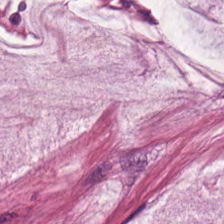Predominant tissue = extracellular mucin.
